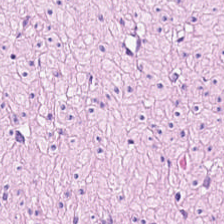Hematoxylin and eosin. Tissue: muscularis.
